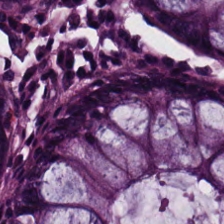Tissue class = benign colonic mucosa.
